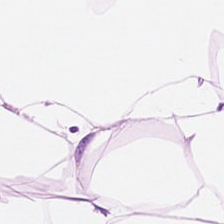H&E stain · FFPE.
Q: What is shown here?
A: This is adipose tissue.
